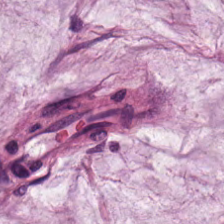H&E patch showing extracellular mucin.
